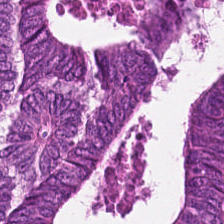FFPE tissue section. Brightfield microscopy. H&E. Tissue class = tumor epithelium.
